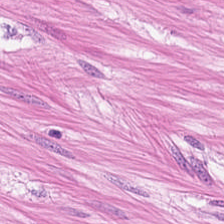Stain: hematoxylin and eosin.
Acquisition: whole-slide-image patch.
Preparation: formalin-fixed paraffin-embedded section.
Tissue class: smooth-muscle tissue.
